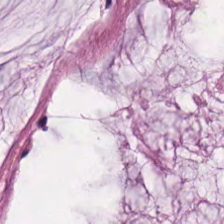Finding — extracellular mucin.
